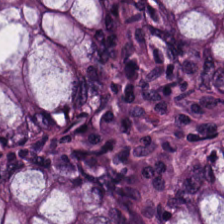FFPE tissue section · 0.5 microns per pixel · hematoxylin and eosin — Tissue type: normal colon mucosa.
